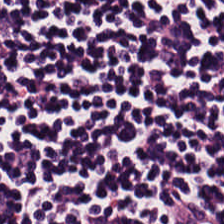H&E-stained tissue section.
Histology → lymphocytes.
